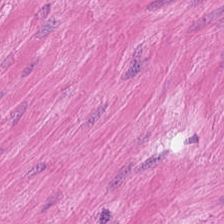Smooth-muscle tissue.
